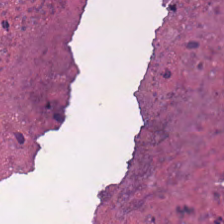Stain: H&E stain.
Tile size: 224×224 px tile.
Predominant tissue: debris.
